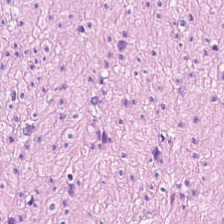0.5 µm per pixel · hematoxylin-and-eosin stained section. Q: What does this patch show?
A: This is smooth-muscle tissue.
